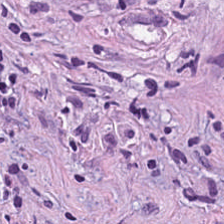H&E stain. FFPE — Impression — tumor-associated stroma.
